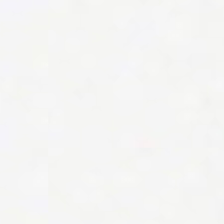224×224 px tile. Hematoxylin-and-eosin stained section.
Finding — background (no tissue).
